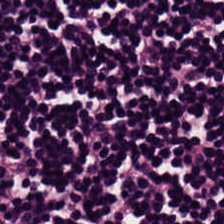Hematoxylin-and-eosin stained section.
This field is lymphocytic infiltrate.
